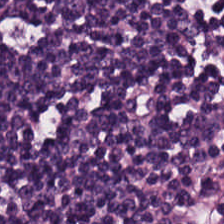Hematoxylin and eosin — Finding — lymphoid infiltrate.
